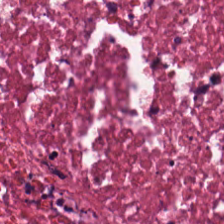H&E-stained tissue section · WSI patch. The tissue here is cellular debris.
